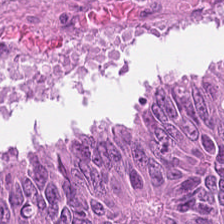H&E stain — The tissue here is tumor epithelium.
